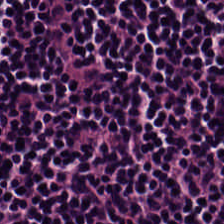Hematoxylin and eosin.
Impression → lymphocytes.
